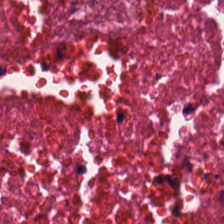H&E. Formalin-fixed paraffin-embedded section. Brightfield. The tissue type is necrotic debris.
